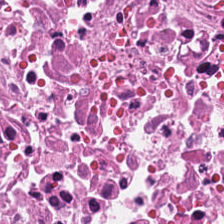Hematoxylin-and-eosin stained section. This field is necrotic debris.
